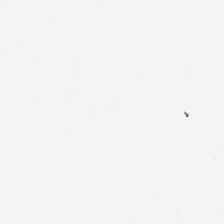Q: Classify this patch.
A: It is background (no tissue).
